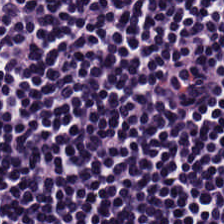H&E — Classification: lymphocyte aggregate.
